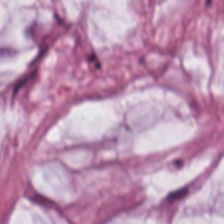Stain: hematoxylin and eosin.
Classification: extracellular mucin.
